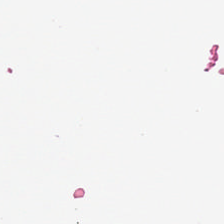FFPE tissue section. H&E-stained tissue section. This patch shows empty background.
